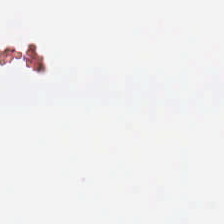0.5 microns per pixel; H&E stain.
This field is background (no tissue).
